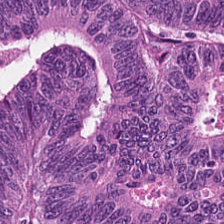{"tissue_type": "tumor epithelium"}
